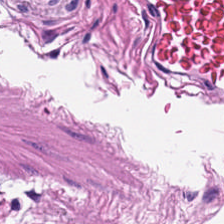H&E stain.
Classification: smooth muscle.
